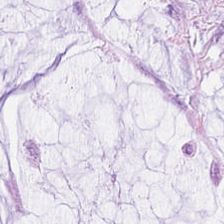Hematoxylin and eosin. 224×224 px patch — Showing mucus.
